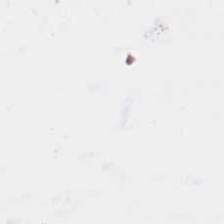Hematoxylin-and-eosin stained section; whole-slide-image patch; 20× equivalent magnification. This field is background (no tissue).
